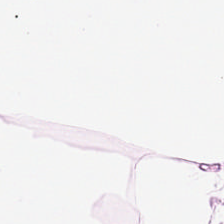The tissue is adipose.
